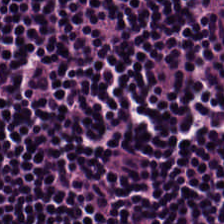Hematoxylin-and-eosin stained section. 224×224 pixel tile — Classification = lymphocytic infiltrate.
